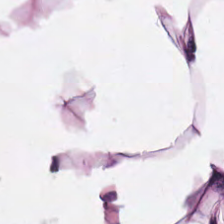Stain: hematoxylin and eosin.
Tile size: 224×224 px tile.
Tissue class: adipose.
